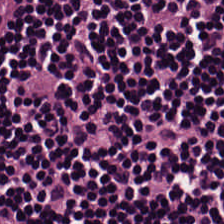H&E. Brightfield. Formalin-fixed paraffin-embedded section. Tissue type — lymphocyte aggregate.
